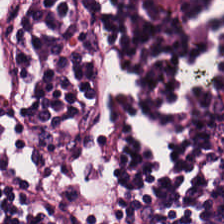H&E-stained tissue section. Q: What is shown in this field?
A: It is lymphocyte aggregate.
